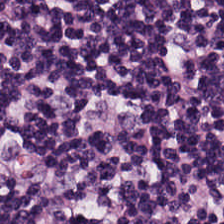H&E-stained section; the field shows lymphocytes.
